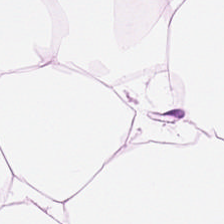0.5 microns per pixel; hematoxylin and eosin. Q: Identify the tissue.
A: It is fat tissue.
